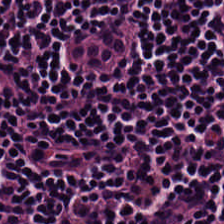Predominant tissue: lymphocyte aggregate.
